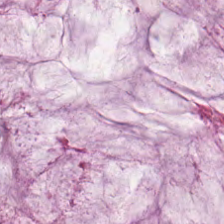0.5 µm/px. H&E stain. Showing mucin.
